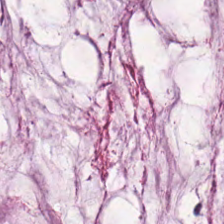Hematoxylin and eosin. Histology — mucus.
